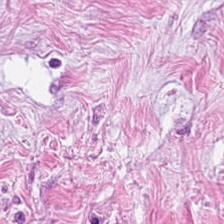Finding — tumor stroma.
